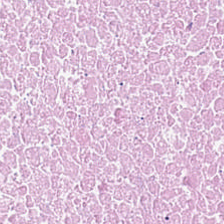Hematoxylin and eosin — Tissue — cellular debris.
